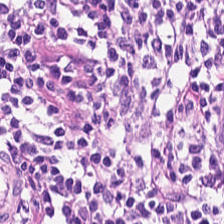20× equivalent magnification · H&E-stained tissue section.
Q: What is the predominant tissue type?
A: It is lymphocyte aggregate.
